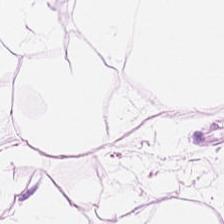Showing adipose tissue.
